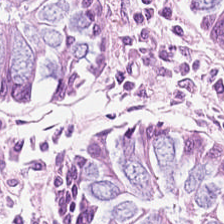224×224 px patch; H&E stain — The classification is normal colon mucosa.
